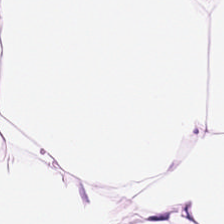Hematoxylin and eosin — The predominant tissue is adipose.
